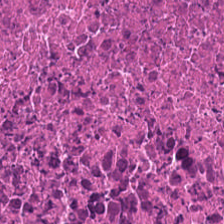Stain: H&E-stained tissue section.
Tissue type: cellular debris.
